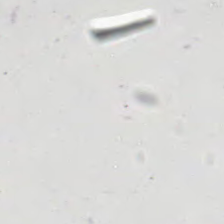Q: What is shown here?
A: No tissue.
